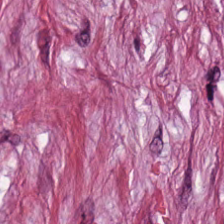H&E stain — Q: What is shown here?
A: It is tumor-associated stroma.
